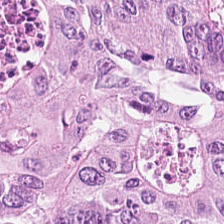Classification = colorectal adenocarcinoma.
